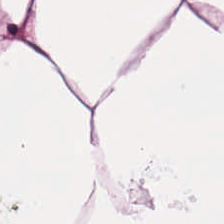Q: What tissue is shown?
A: The field shows adipose.
